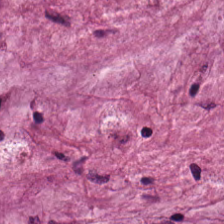Stain: H&E stain.
Resolution: 20× equivalent magnification.
Tissue: extracellular mucin.
